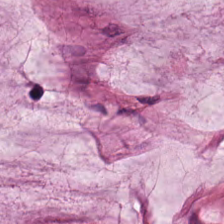H&E-stained tissue section. The classification is mucin.
